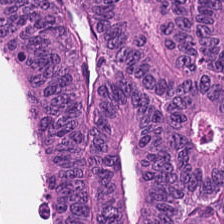Tissue class = adenocarcinoma.
